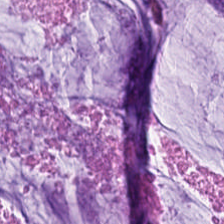Hematoxylin-and-eosin section: mucin.
